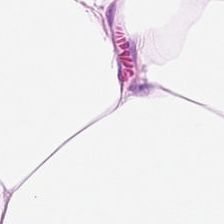H&E.
Tissue class — adipose.
